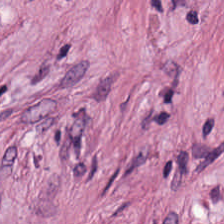Hematoxylin-and-eosin stained section. Predominant tissue — desmoplastic stroma.
